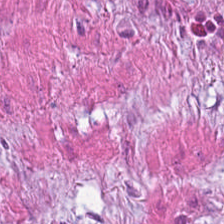{"tissue_type": "muscularis"}
